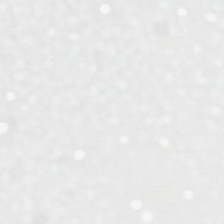Hematoxylin and eosin.
Q: What does this patch show?
A: The field shows empty background.
